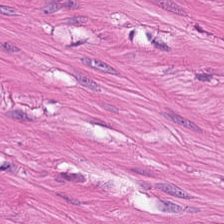H&E; 224×224 px patch.
Smooth-muscle tissue.
